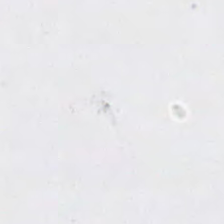Content — background.
